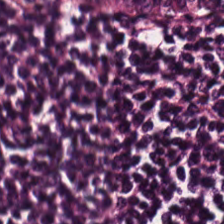Stain: H&E stain.
Preparation: FFPE.
Acquisition: WSI patch.
Tissue: lymphocyte aggregate.
